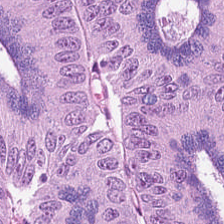Tissue type — adenocarcinoma.
